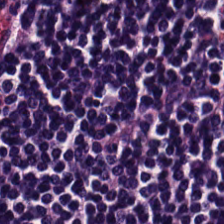Q: What is shown in this field?
A: It is lymphocyte aggregate.
